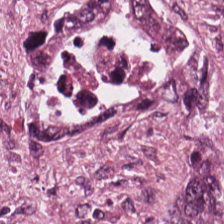224×224 px tile. FFPE. H&E-stained tissue section.
Histology — colorectal adenocarcinoma.
